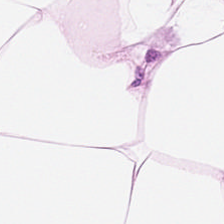H&E-stained tissue section. 0.5 µm/px. Formalin-fixed paraffin-embedded section — {"tissue_type": "adipose tissue"}
